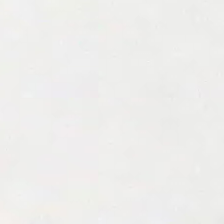H&E-stained tissue section.
{"content": "empty background"}
